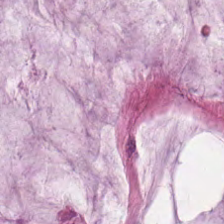The tissue here is extracellular mucin.
